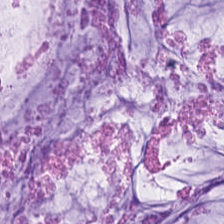Stain: H&E stain.
Resolution: 0.5 µm per pixel.
Tissue class: extracellular mucin.
